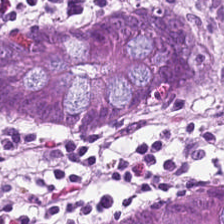Tissue class = normal colon mucosa.
